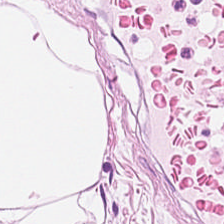Hematoxylin-and-eosin stained section — Tissue type: adipose tissue.
